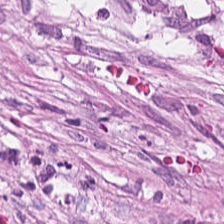H&E-stained tissue section showing cancer-associated stroma.
